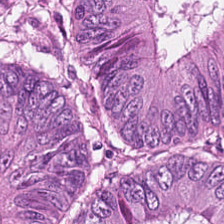H&E. 224×224 px patch. FFPE tissue section — Predominantly colorectal adenocarcinoma.
